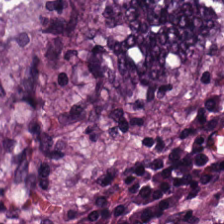H&E stain. WSI patch.
Q: What type of tissue is this?
A: This is colorectal adenocarcinoma.
